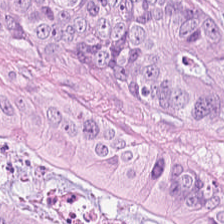Q: What tissue is shown?
A: This is malignant epithelium.
